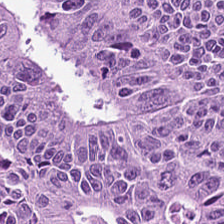Formalin-fixed paraffin-embedded section · H&E · 224×224 px patch — The classification is colorectal adenocarcinoma.
